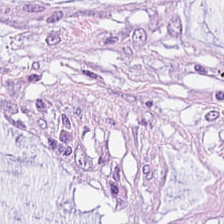H&E · WSI patch · 20× equivalent magnification. The predominant tissue is mucus.
